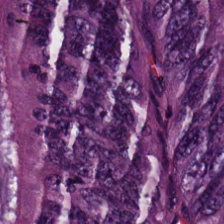Hematoxylin and eosin; brightfield microscopy. Tissue — colorectal adenocarcinoma epithelium.
